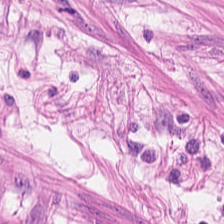Brightfield microscopy · hematoxylin and eosin — Tissue = smooth-muscle tissue.
